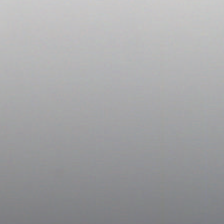H&E stain. This field is background (no tissue).
